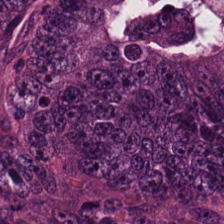H&E. 0.5 microns per pixel. Classification = colorectal adenocarcinoma epithelium.
